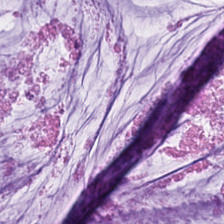The predominant tissue is mucin.
